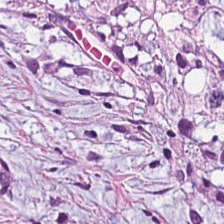Stain: H&E.
Predominant tissue: desmoplastic stroma.
